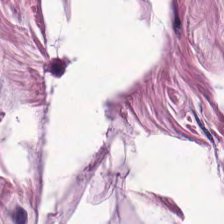FFPE tissue section; H&E stain — Tissue type: muscularis.
